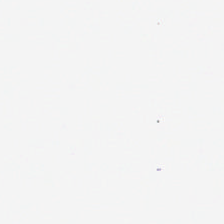Empty field — background (no tissue).
